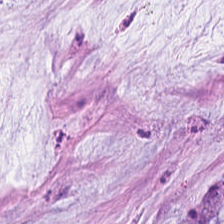FFPE tissue section · hematoxylin-and-eosin stained section · brightfield microscopy — Tissue = extracellular mucin.
